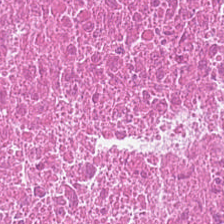0.5 microns per pixel. Hematoxylin-and-eosin stained section. 224×224 pixel tile — Q: What type of tissue is this?
A: This is cellular debris.
